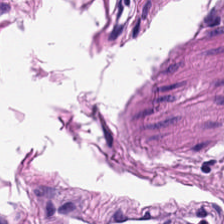H&E-stained tissue section — Q: What does this patch show?
A: It is smooth muscle.
